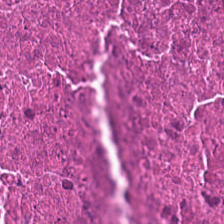H&E; FFPE — Histology — cellular debris.
